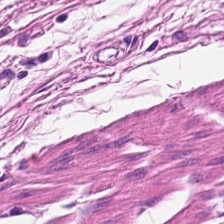Whole-slide-image patch. H&E. Q: What is the predominant tissue type?
A: The field shows muscularis.
